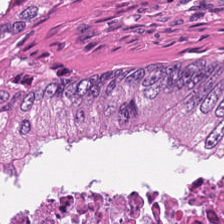H&E stain. 224×224 px patch. 0.5 µm per pixel.
Histology → debris.
